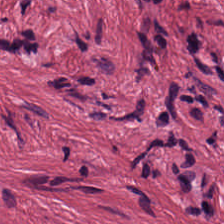H&E — Impression — cancer-associated stroma.
